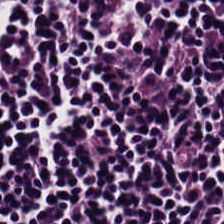Tissue class — lymphocytes.
